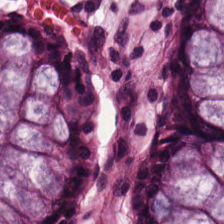Brightfield microscopy; hematoxylin-and-eosin stained section.
Histology → normal colon mucosa.
